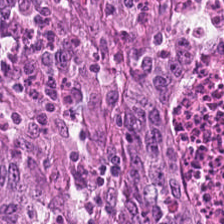H&E — Classification — colorectal adenocarcinoma epithelium.
